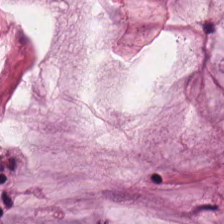Q: What is shown in this field?
A: This is mucus.
